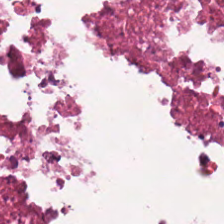H&E — The classification is necrotic debris.
